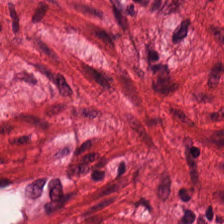H&E stain.
This patch shows muscularis.
